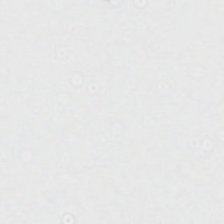H&E-stained tissue section. Q: What is shown here?
A: The field shows no tissue.
